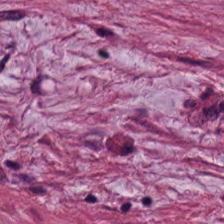Formalin-fixed paraffin-embedded section; H&E stain; brightfield microscopy. Histology — tumor-associated stroma.
